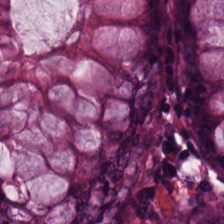H&E-stained tissue section — This patch shows normal colon mucosa.
